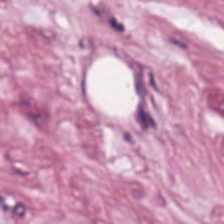Hematoxylin-and-eosin stained section. Brightfield.
Finding — tumor stroma.
